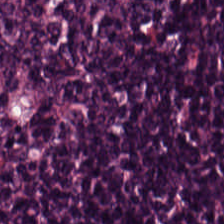Stain: H&E stain.
Resolution: 20× equivalent magnification.
Tissue type: lymphoid infiltrate.
